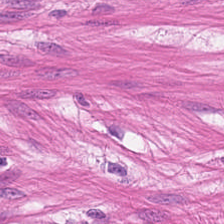Stain: H&E-stained tissue section.
Tile size: 224×224 px tile.
Tissue class: smooth muscle.
